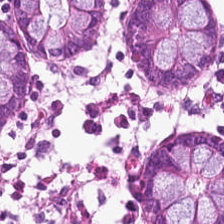Formalin-fixed paraffin-embedded section · hematoxylin and eosin · 224×224 px tile.
The classification is normal colon mucosa.
